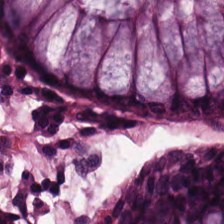H&E-stained tissue section.
Q: What tissue type is shown here?
A: The field shows benign colonic mucosa.
